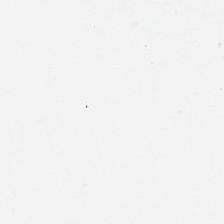Hematoxylin-and-eosin stained section.
Empty field — no tissue.
